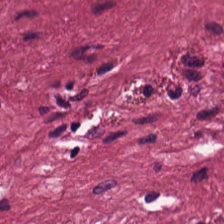Tissue class = tumor stroma.
